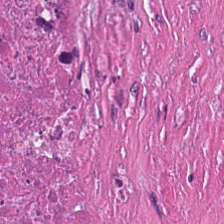H&E stain — {"tissue_type": "debris"}
